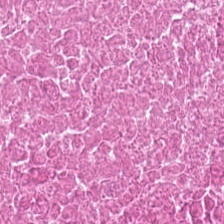H&E-stained tissue section; formalin-fixed paraffin-embedded section; whole-slide-image patch.
Predominantly cellular debris.
